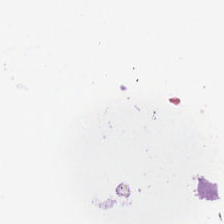No tissue present; background only.
